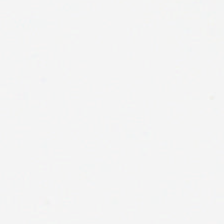H&E stain. The field content is background.
